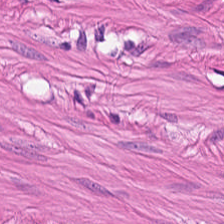Stain: H&E stain.
Tissue class: muscularis.
